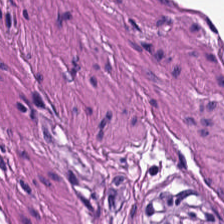Impression → smooth-muscle tissue.
